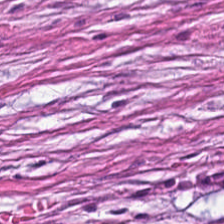Hematoxylin-and-eosin stained section.
Cancer-associated stroma.
